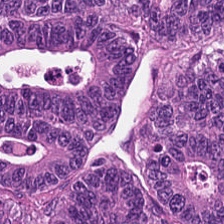H&E. Colorectal adenocarcinoma.
